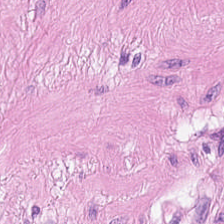FFPE. Hematoxylin-and-eosin stained section. This field is smooth muscle.
